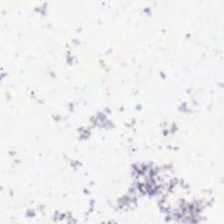Brightfield microscopy · 0.5 microns per pixel · H&E-stained tissue section — The content is no tissue.
